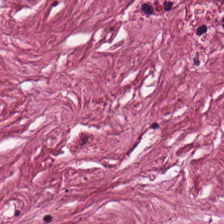0.5 µm/px; 224×224 px patch; hematoxylin-and-eosin stained section — This field is tumor stroma.
